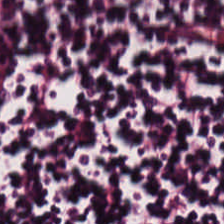This patch shows lymphocyte aggregate.
